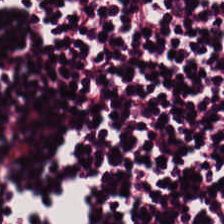This patch shows lymphocyte aggregate.
